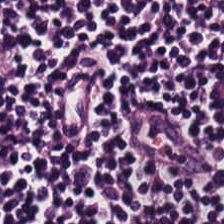Hematoxylin-and-eosin section: lymphoid infiltrate.
